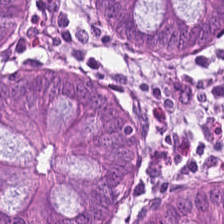H&E stain · WSI patch · FFPE tissue section. Q: What is the predominant tissue type?
A: This is benign colonic mucosa.
